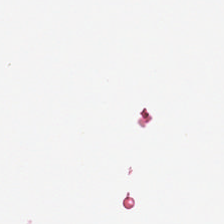No tissue.
